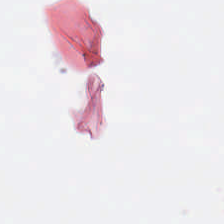Hematoxylin and eosin. This field is background (no tissue).
